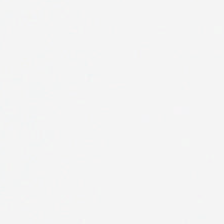Stain: H&E stain.
Classification: no tissue.
